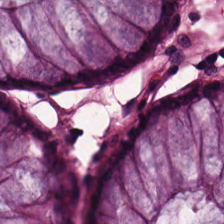Hematoxylin-and-eosin stained section.
Impression — normal colonic mucosa.
